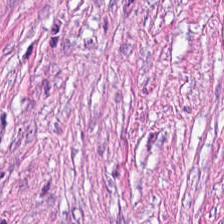Stain: H&E stain.
Preparation: FFPE.
Acquisition: WSI patch.
Tissue type: cancer-associated stroma.
